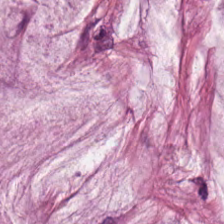Hematoxylin and eosin; brightfield.
Showing extracellular mucin.
